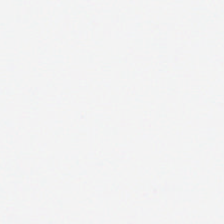Hematoxylin and eosin. Brightfield.
Q: Classify this patch.
A: This is background.
